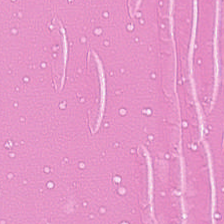0.5 µm/px. H&E-stained tissue section. Whole-slide-image patch. This field is cellular debris.
